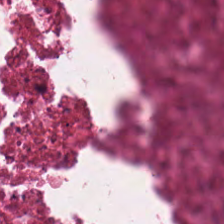Q: What tissue is shown?
A: The field shows debris.
